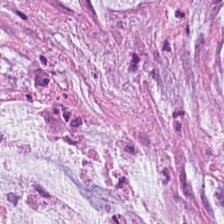Formalin-fixed paraffin-embedded section · H&E-stained tissue section · brightfield microscopy — Predominantly extracellular mucin.
